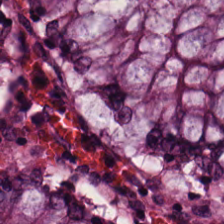Brightfield microscopy. H&E-stained tissue section. 224×224 pixel tile.
Q: Identify the tissue.
A: This is benign colonic mucosa.
